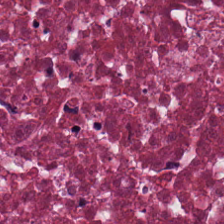224×224 pixel tile; hematoxylin-and-eosin stained section; FFPE tissue section.
Q: What is the predominant tissue type?
A: This is necrotic debris.
